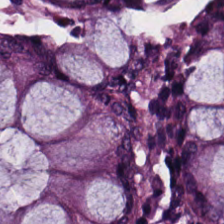Formalin-fixed paraffin-embedded section. Brightfield. H&E — Impression — normal colon mucosa.
